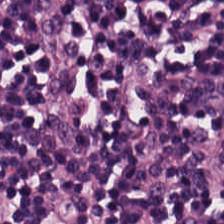FFPE · hematoxylin and eosin — {"tissue_type": "lymphoid infiltrate"}
